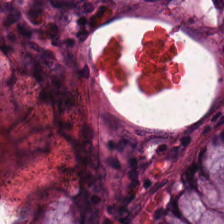Hematoxylin-and-eosin stained section; FFPE. Benign colonic mucosa.
